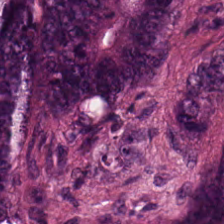This patch shows colorectal adenocarcinoma.
